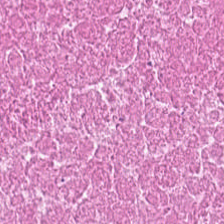Stain: hematoxylin and eosin.
Preparation: FFPE.
Tissue class: necrotic debris.
